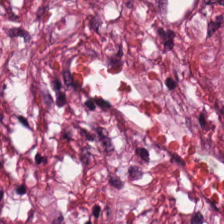Stain: hematoxylin-and-eosin stained section.
Tissue: cancer-associated stroma.
